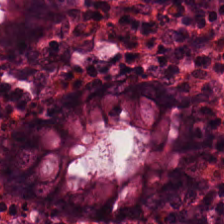The tissue here is non-neoplastic colon mucosa.
